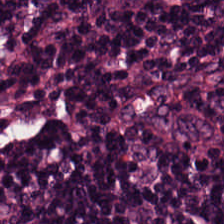The tissue here is lymphocytes.
